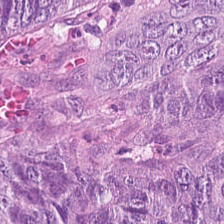Hematoxylin-and-eosin stained section. Showing colorectal adenocarcinoma.
